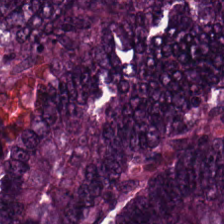0.5 microns per pixel. H&E-stained tissue section. 224×224 px patch.
Showing malignant epithelium.
